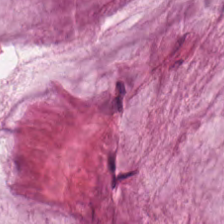H&E stain. Classification: extracellular mucin.
